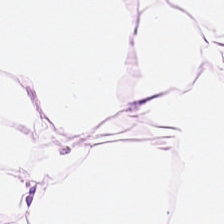Hematoxylin and eosin. Showing adipose.
